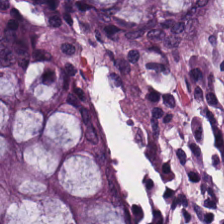Classification — benign colonic mucosa.
